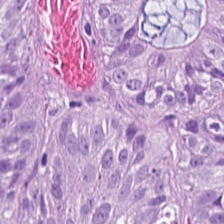This field is colorectal adenocarcinoma epithelium.
